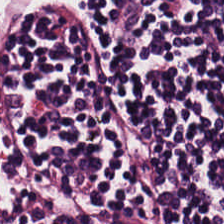H&E. Q: What is the predominant tissue type?
A: This is lymphocyte aggregate.
